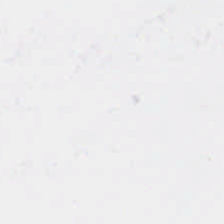Whole-slide-image patch. H&E stain.
Q: What is shown here?
A: Empty background.
